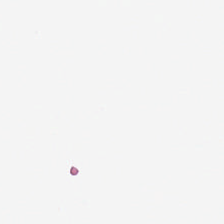H&E stain.
Content — background.
